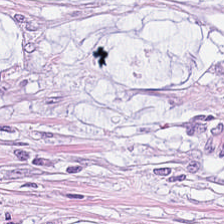Tissue type: mucin.
